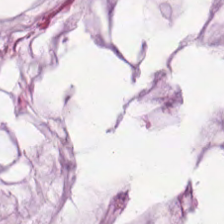Q: What tissue type is shown here?
A: This is extracellular mucin.
